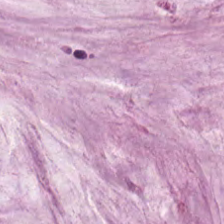{"tissue_type": "mucin"}
